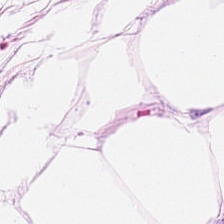Predominantly adipose tissue.
